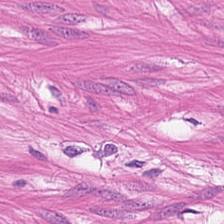H&E-stained tissue section. Q: Identify the tissue.
A: This is muscularis.
